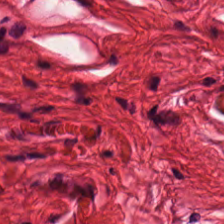H&E stain; 0.5 µm/px. This patch shows smooth muscle.
